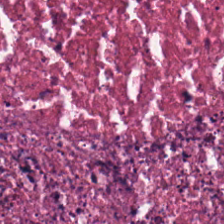H&E-stained tissue section; 0.5 microns per pixel. Tissue — debris.
